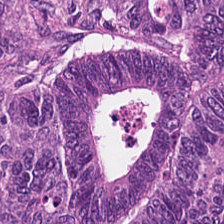H&E-stained tissue section.
Q: Identify the tissue.
A: This is adenocarcinoma.
